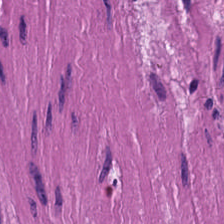Stain: hematoxylin and eosin.
Classification: smooth muscle.
